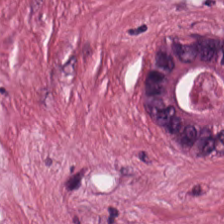H&E.
Q: What tissue type is shown here?
A: This is cancer-associated stroma.
